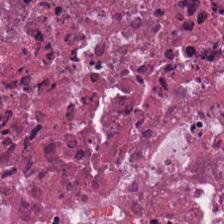224×224 px tile · hematoxylin and eosin — The tissue class is cellular debris.
